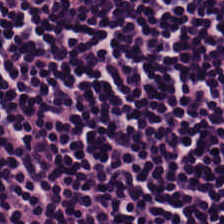H&E stain. Histology — lymphoid infiltrate.
